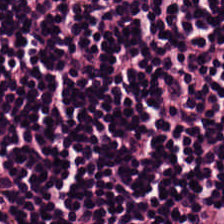Q: What is shown here?
A: The field shows lymphoid infiltrate.
